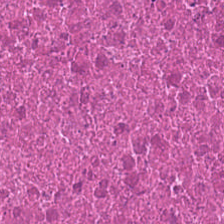Hematoxylin-and-eosin stained section.
Tissue — necrotic debris.
